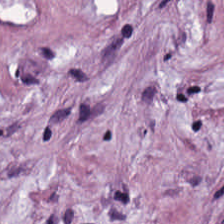Hematoxylin and eosin.
Showing tumor-associated stroma.
